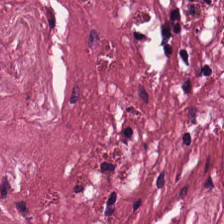0.5 microns per pixel. Hematoxylin-and-eosin stained section. This field is desmoplastic stroma.
